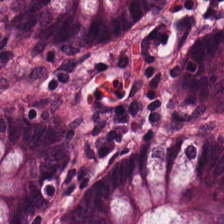Tissue class — non-neoplastic colon mucosa.
